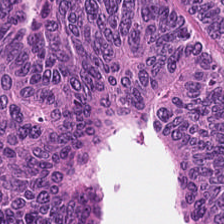Impression — colorectal adenocarcinoma epithelium.
